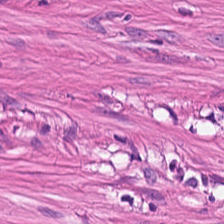H&E stain; 0.5 µm/px — Finding → muscularis.
